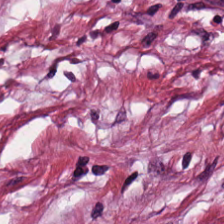{"tissue_type": "desmoplastic stroma"}
